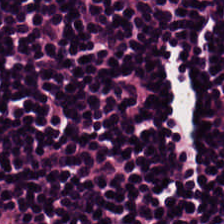Tissue = lymphocytic infiltrate.
